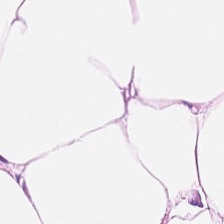H&E stain · FFPE · 0.5 microns per pixel.
Q: What is the predominant tissue type?
A: It is adipose tissue.
